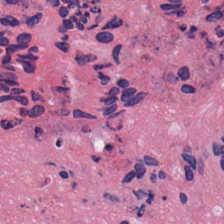Hematoxylin-and-eosin stained section.
Finding — necrotic debris.
